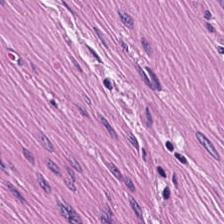Hematoxylin-and-eosin stained section — Muscularis.
